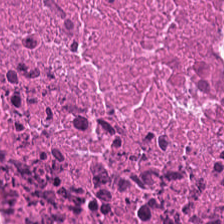WSI patch. H&E stain. FFPE tissue section. Tissue class = necrotic debris.
